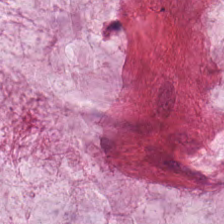Classification — mucin.
